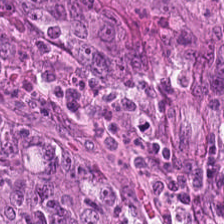H&E-stained tissue section showing tumor epithelium.
